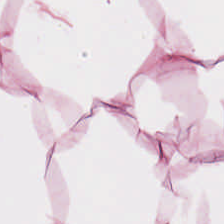H&E · 0.5 microns per pixel · FFPE. Q: What is shown here?
A: The field shows adipose.
